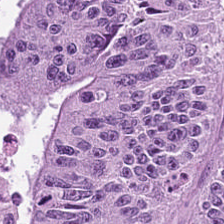Hematoxylin and eosin; 0.5 microns per pixel. The tissue is tumor epithelium.
